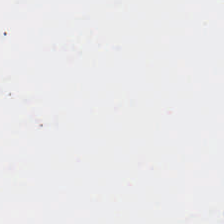H&E stain — Background — no tissue in this field.
